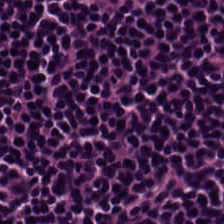Brightfield; hematoxylin and eosin; 0.5 µm/px. Classification — lymphoid infiltrate.
